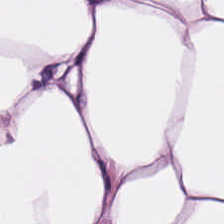Hematoxylin and eosin. Predominantly adipose tissue.
